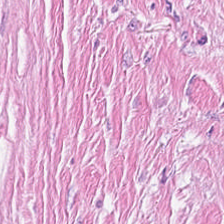H&E.
Impression → desmoplastic stroma.
